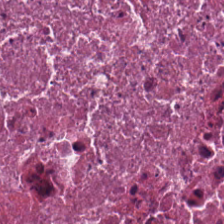H&E; 0.5 µm/px — Cellular debris.
